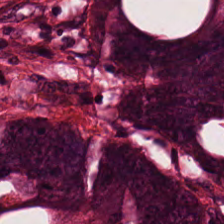{"tissue_type": "colorectal adenocarcinoma"}
